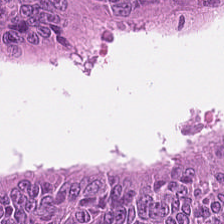H&E; whole-slide-image patch. Predominant tissue — colorectal adenocarcinoma.
